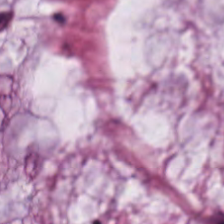FFPE · H&E-stained tissue section · whole-slide-image patch. Q: What does this patch show?
A: This is mucin.
